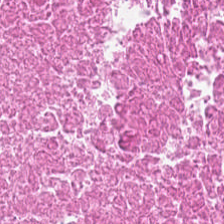H&E — debris.
